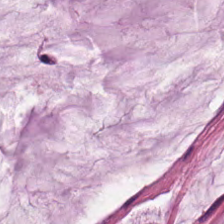Stain: H&E.
Resolution: 0.5 microns per pixel.
Tissue: mucin.
